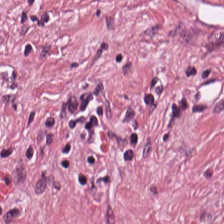H&E patch showing desmoplastic stroma.
